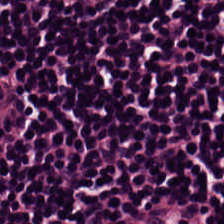H&E stain.
Classification = lymphocytes.
